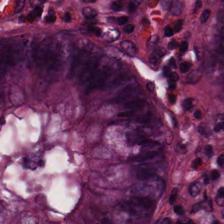H&E-stained tissue section · 0.5 µm per pixel.
Q: What type of tissue is this?
A: This is normal colonic mucosa.
